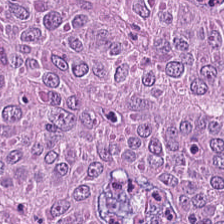H&E-stained tissue section. The predominant tissue is malignant epithelium.
